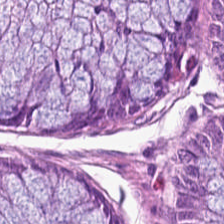Brightfield; H&E.
{"tissue_type": "non-neoplastic colon mucosa"}
